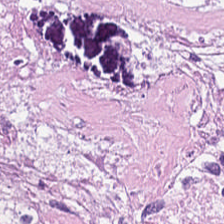Hematoxylin-and-eosin section: debris.
